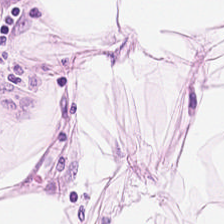H&E-stained tissue section; 224×224 px patch. Predominantly adipose tissue.
